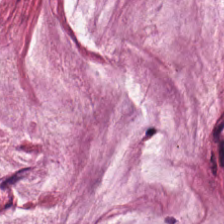Brightfield · H&E.
This patch shows extracellular mucin.
